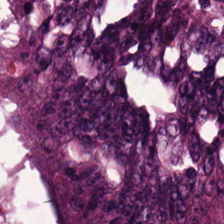FFPE; hematoxylin and eosin.
The classification is adenocarcinoma.
